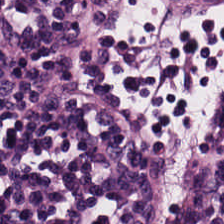The classification is lymphocyte aggregate.
